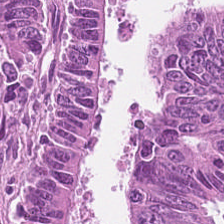H&E stain; 224×224 px patch.
Predominantly colorectal adenocarcinoma epithelium.
